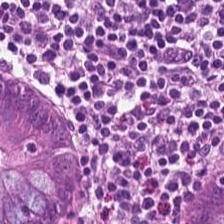H&E stain.
Q: What is shown here?
A: Non-neoplastic colon mucosa.
